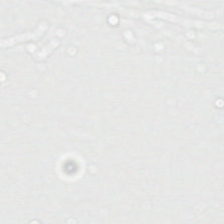This field is background (no tissue).
